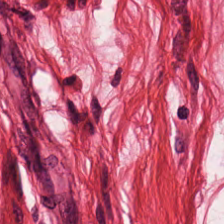This patch shows muscularis.
